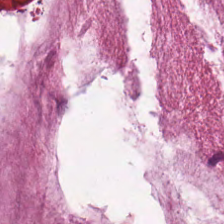The predominant tissue is mucus.
